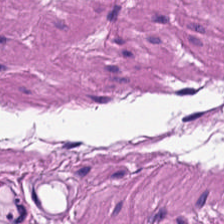Brightfield microscopy; FFPE tissue section; hematoxylin-and-eosin stained section. Classification: smooth-muscle tissue.
